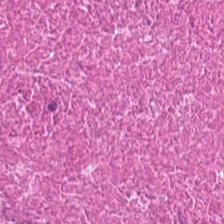FFPE. Brightfield microscopy. H&E-stained tissue section — The tissue here is cellular debris.
